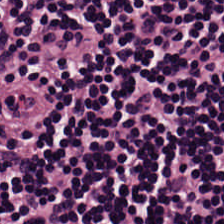WSI patch · hematoxylin-and-eosin stained section.
Showing lymphocytic infiltrate.
